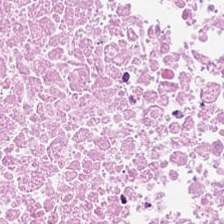WSI patch; hematoxylin and eosin; 224×224 px tile.
Cellular debris.
